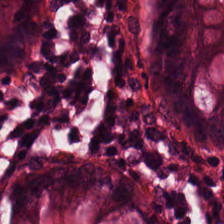Whole-slide-image patch. FFPE tissue section. Hematoxylin and eosin. Showing normal colon mucosa.
